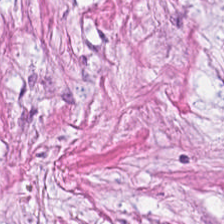Classification — desmoplastic stroma.
